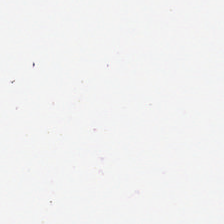H&E-stained tissue section — This field is background (no tissue).
